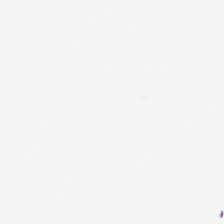Whole-slide-image patch; 0.5 microns per pixel; H&E-stained tissue section. Q: What is shown in this field?
A: The field shows background (no tissue).
